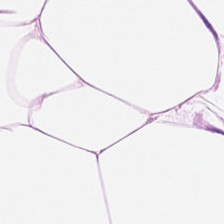H&E — Predominant tissue — fat tissue.
